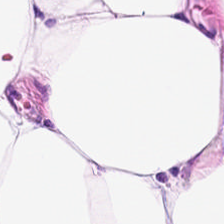Hematoxylin-and-eosin section: adipose tissue.
